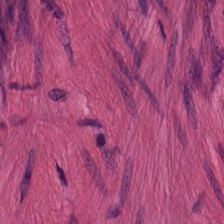Hematoxylin-and-eosin stained section — This field is muscularis.
